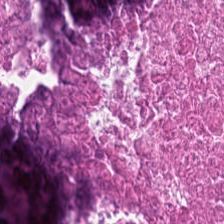Predominant tissue — necrotic debris.
